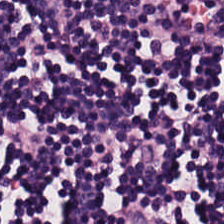H&E-stained tissue section. Tissue = lymphocyte aggregate.
